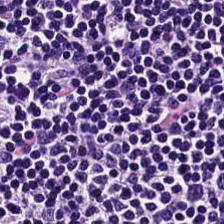Stain: H&E-stained tissue section.
Resolution: 0.5 microns per pixel.
Predominant tissue: lymphocyte aggregate.
